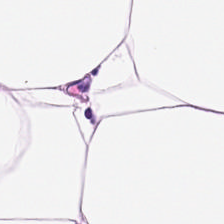0.5 microns per pixel · hematoxylin-and-eosin stained section — Adipose tissue.
